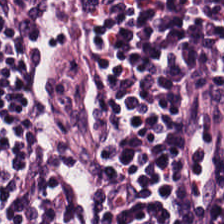Formalin-fixed paraffin-embedded section. H&E stain. 224×224 pixel tile. Showing lymphoid infiltrate.
